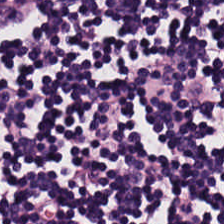Stain: H&E.
Classification: lymphoid infiltrate.
